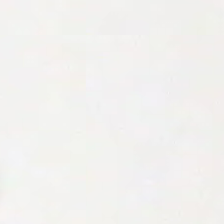This patch shows empty background.
